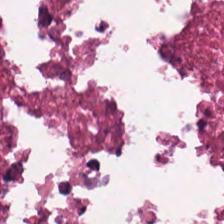H&E-stained tissue section. Predominantly debris.
